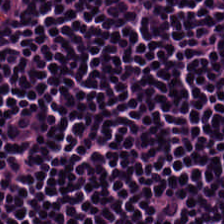Hematoxylin and eosin. FFPE tissue section.
Lymphocytic infiltrate.
